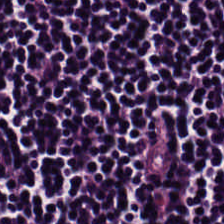H&E-stained tissue section. Tissue type: lymphocytes.
